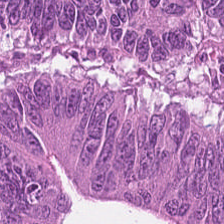H&E-stained tissue section · brightfield microscopy · FFPE tissue section — This field is colorectal adenocarcinoma.
